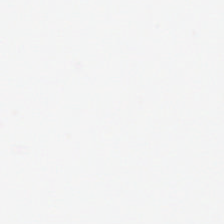Hematoxylin and eosin. This patch shows no tissue.
